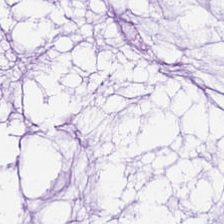Formalin-fixed paraffin-embedded section; 0.5 µm per pixel; H&E stain.
Predominantly extracellular mucin.
